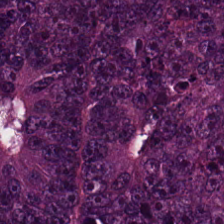H&E. Predominantly colorectal adenocarcinoma epithelium.
